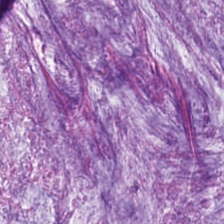0.5 microns per pixel · brightfield · H&E. {"tissue_type": "extracellular mucin"}
